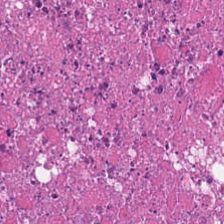Hematoxylin-and-eosin stained section. Predominantly necrotic debris.
